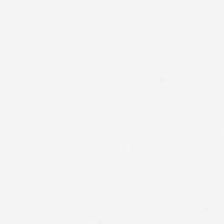Stain: H&E stain.
Classification: background (no tissue).
